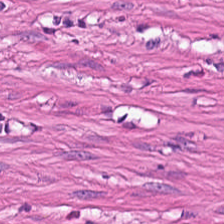Impression → muscularis.
